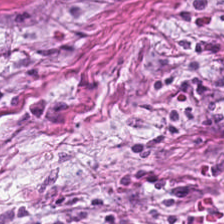FFPE. H&E-stained tissue section — Showing desmoplastic stroma.
